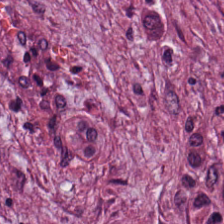224×224 px tile · 0.5 µm per pixel · hematoxylin and eosin.
Tissue = tumor-associated stroma.
